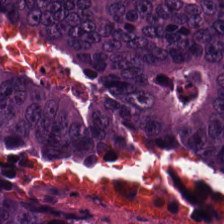224×224 px patch; hematoxylin and eosin — This patch shows adenocarcinoma.
